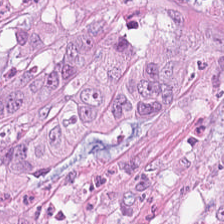H&E-stained tissue section. 0.5 µm per pixel — Q: Classify this patch.
A: Adenocarcinoma.
